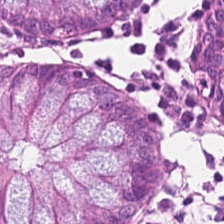H&E.
Classification: normal colon mucosa.
